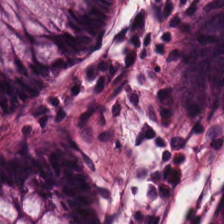Whole-slide-image patch · hematoxylin and eosin.
Q: Classify this patch.
A: The field shows normal colon mucosa.
